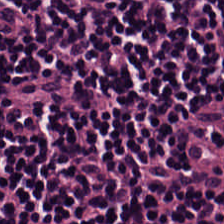224×224 px tile. Hematoxylin-and-eosin stained section. Histology — lymphocytic infiltrate.
